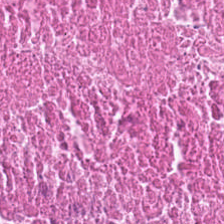Histology — cellular debris.
